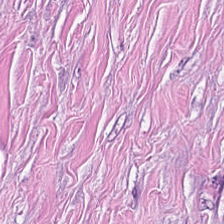H&E-stained tissue section; 0.5 microns per pixel.
Finding — tumor stroma.
